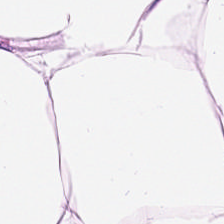H&E. Showing adipose tissue.
